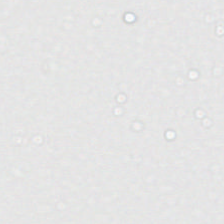224×224 px patch. H&E stain. 0.5 µm/px — Classification: background.
